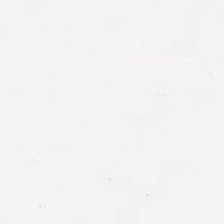Stain: hematoxylin-and-eosin stained section.
Preparation: FFPE.
Classification: background (no tissue).
